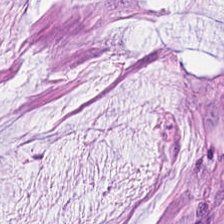H&E-stained section; the field shows mucin.
